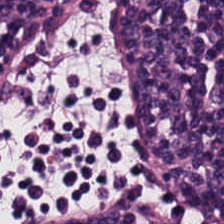H&E patch showing lymphoid infiltrate.
